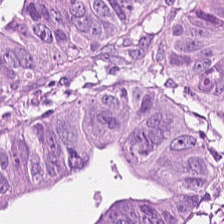Tissue type = tumor epithelium.
